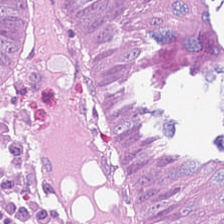224×224 pixel tile; H&E-stained tissue section.
Predominant tissue = adenocarcinoma.
